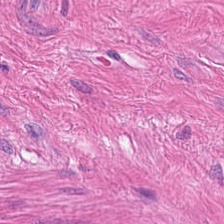Tissue class = smooth-muscle tissue.
